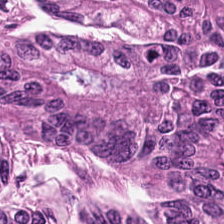Hematoxylin-and-eosin stained section. Histology — colorectal adenocarcinoma.
